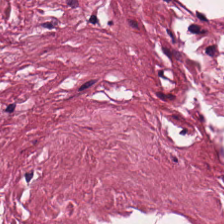Stain: hematoxylin and eosin.
Tissue class: desmoplastic stroma.
